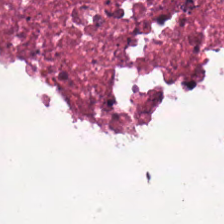FFPE tissue section. H&E.
Showing necrotic debris.
